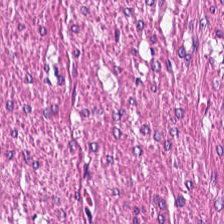Hematoxylin and eosin · 224×224 px tile — Predominant tissue = muscularis.
